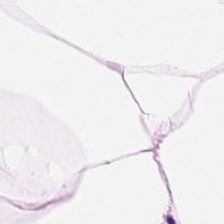FFPE tissue section. Hematoxylin and eosin.
Impression → fat tissue.
